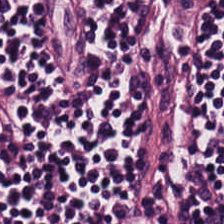H&E-stained tissue section; 224×224 pixel tile; whole-slide-image patch.
Showing lymphocyte aggregate.
